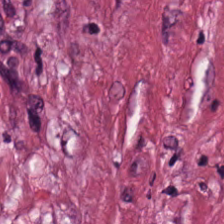Hematoxylin-and-eosin stained section · 0.5 microns per pixel — Predominantly desmoplastic stroma.
